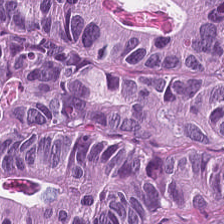H&E; 224×224 pixel tile — Predominant tissue — adenocarcinoma.
